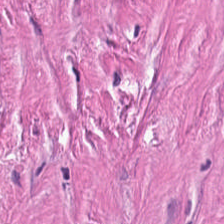Stain: hematoxylin and eosin.
Classification: tumor stroma.
